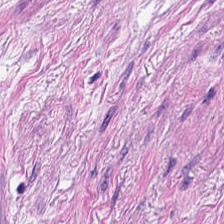H&E stain; 224×224 pixel tile; 0.5 microns per pixel.
Tissue — smooth muscle.
